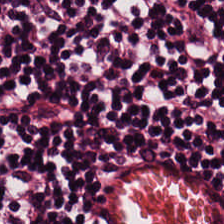Stain: H&E stain.
Acquisition: WSI patch.
Tile size: 224×224 px patch.
Tissue class: lymphocyte aggregate.
